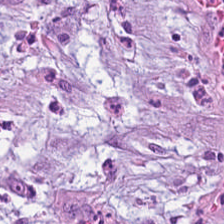H&E-stained tissue section. Q: What type of tissue is this?
A: Cancer-associated stroma.
